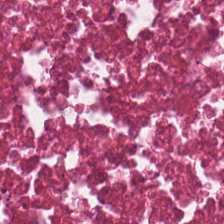H&E.
The tissue here is necrotic debris.
